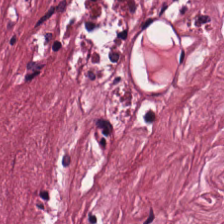H&E.
Classification — cancer-associated stroma.
